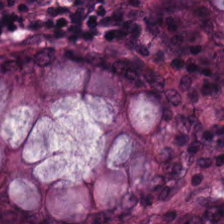Hematoxylin-and-eosin stained section. This field is non-neoplastic colon mucosa.
